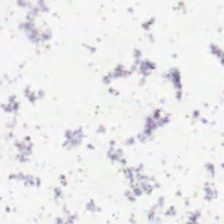H&E-stained tissue section · FFPE. This field is background (no tissue).
